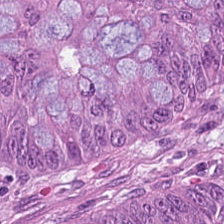H&E stain — Predominant tissue: colorectal adenocarcinoma epithelium.
